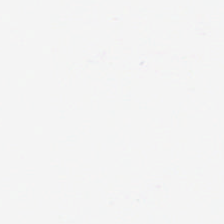224×224 px patch · H&E. This patch shows background.
